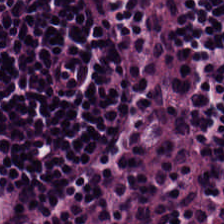H&E.
Lymphocyte aggregate.
